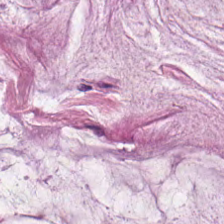Histology → extracellular mucin.
